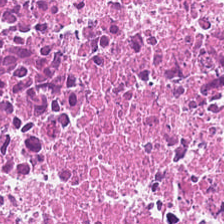The predominant tissue is debris.
